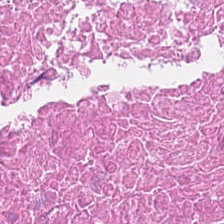Q: What is shown in this field?
A: This is debris.
